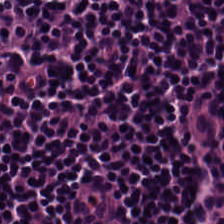Histology → lymphocyte aggregate.
